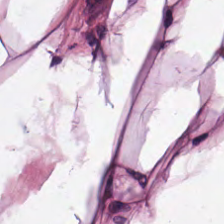Stain: H&E stain.
Classification: adipose tissue.
